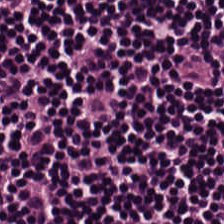H&E; 224×224 pixel tile.
Q: What type of tissue is this?
A: The field shows lymphocytic infiltrate.
